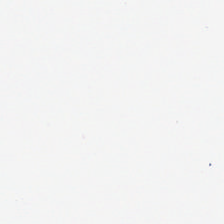Background (no tissue).
